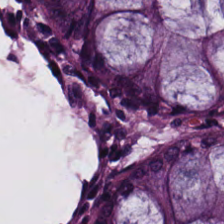Benign colonic mucosa.
